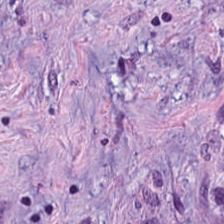The tissue here is tumor stroma.
